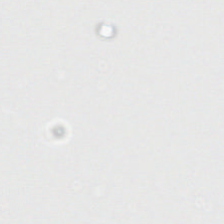Stain: H&E.
Field content: empty background.
